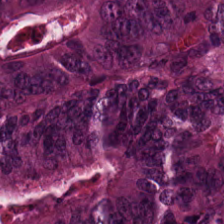224×224 px patch. WSI patch. Hematoxylin-and-eosin stained section — Classification — malignant epithelium.
